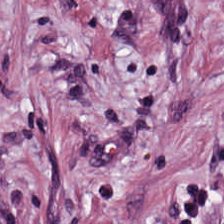Stain: H&E stain.
Acquisition: WSI patch.
Tissue class: tumor stroma.
